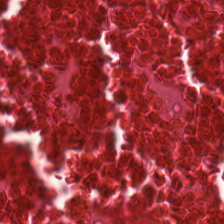H&E — The tissue here is debris.
